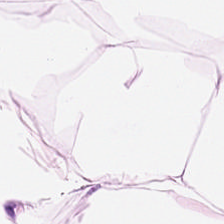H&E stain — Showing adipose.
